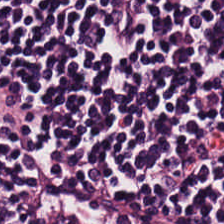Hematoxylin and eosin — Lymphocytic infiltrate.
